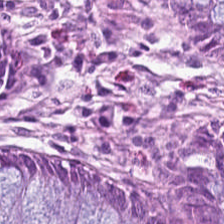FFPE · 0.5 µm per pixel · hematoxylin and eosin.
{"tissue_type": "normal colonic mucosa"}
